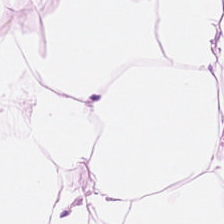H&E-stained tissue section — This patch shows adipose.
